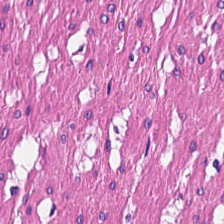20× equivalent magnification; hematoxylin and eosin — Showing smooth muscle.
